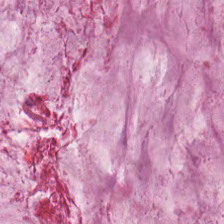H&E · 20× equivalent magnification.
The tissue here is extracellular mucin.
